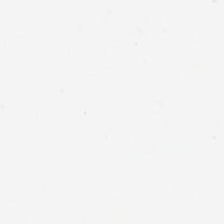Hematoxylin and eosin.
No tissue present; background only.
